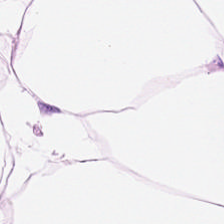Q: What type of tissue is this?
A: The field shows adipose.
